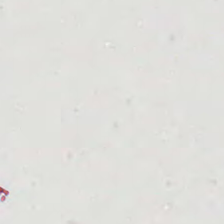Q: What is shown in this field?
A: Background.
